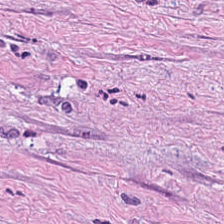Hematoxylin and eosin. Predominantly tumor stroma.
